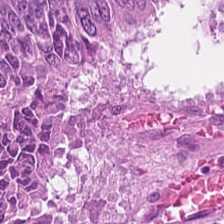Hematoxylin-and-eosin stained section · brightfield microscopy — Tissue class: colorectal adenocarcinoma.
